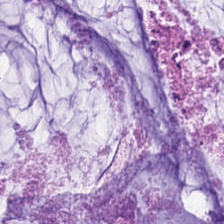Hematoxylin-and-eosin stained section. This patch shows mucin.
